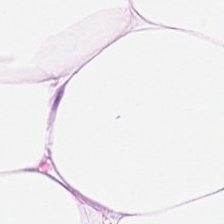Stain: H&E-stained tissue section.
Classification: adipose.
